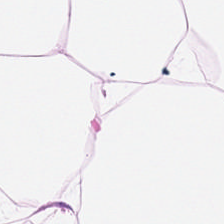The tissue type is adipose tissue.
